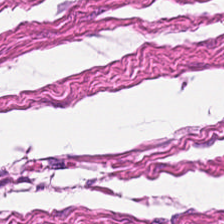Hematoxylin and eosin. Q: Identify the tissue.
A: The field shows muscularis.
